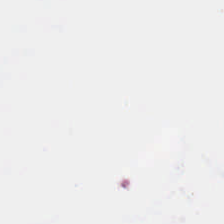FFPE · H&E · brightfield.
Classification — background (no tissue).
